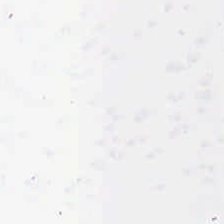0.5 microns per pixel; H&E-stained tissue section. {"content": "background (no tissue)"}
